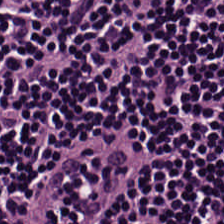H&E. Lymphocytes.
